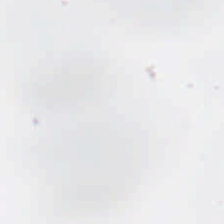224×224 px patch · FFPE tissue section · H&E stain.
Background — no tissue in this field.
